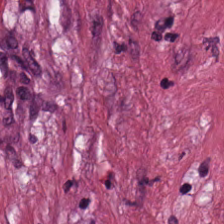Q: What type of tissue is this?
A: The field shows desmoplastic stroma.
